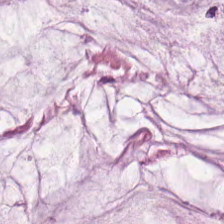224×224 px patch · hematoxylin and eosin · FFPE tissue section.
This field is extracellular mucin.
